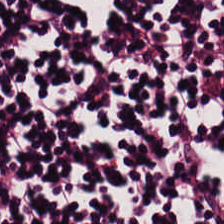Stain: hematoxylin and eosin.
Tissue type: lymphocyte aggregate.
